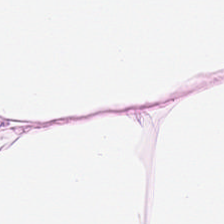H&E-stained section; the field shows adipose tissue.
